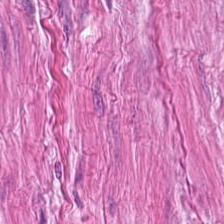H&E-stained tissue section. Showing smooth muscle.
